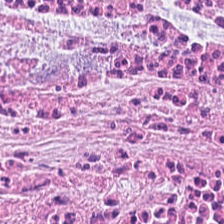H&E-stained tissue section showing tumor stroma.
